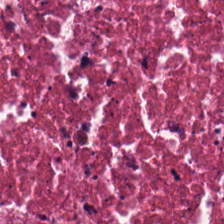20× equivalent magnification. H&E-stained tissue section. The predominant tissue is cellular debris.
